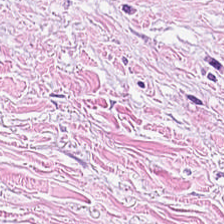H&E stain. The tissue here is desmoplastic stroma.
